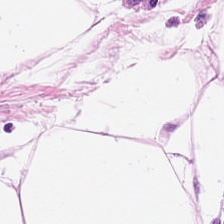Predominantly fat tissue.
